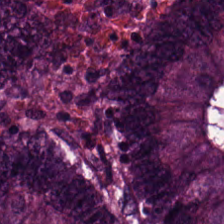Hematoxylin and eosin · FFPE. Histology — malignant epithelium.
